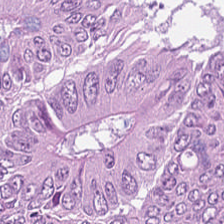Stain: H&E.
Preparation: formalin-fixed paraffin-embedded section.
Classification: colorectal adenocarcinoma epithelium.
